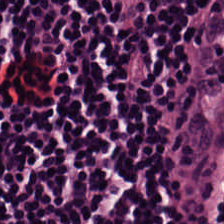H&E · 224×224 px tile — Histology — lymphocytic infiltrate.
